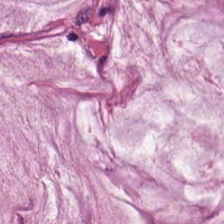H&E. Predominantly mucin.
